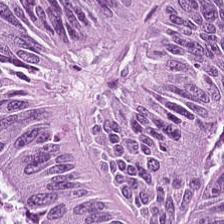Hematoxylin-and-eosin stained section — Classification = tumor epithelium.
